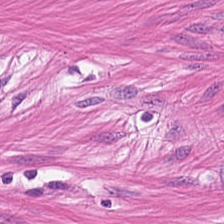H&E-stained tissue section · 0.5 µm per pixel.
Tissue — muscularis.
